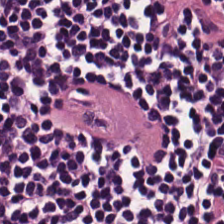Hematoxylin-and-eosin stained section. Tissue class = lymphoid infiltrate.
